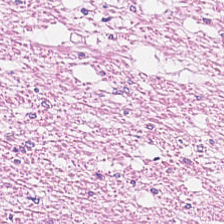H&E; 224×224 pixel tile; formalin-fixed paraffin-embedded section — Classification: muscularis.
